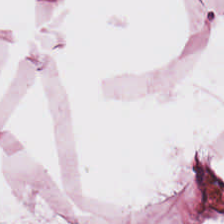H&E-stained tissue section; 0.5 µm per pixel — The tissue here is adipocytes.
